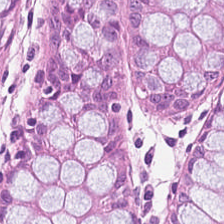Stain: H&E.
Predominant tissue: benign colonic mucosa.
